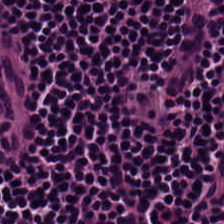0.5 µm per pixel; H&E stain — The tissue is lymphocytes.
